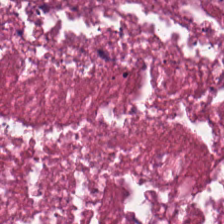Showing debris.
